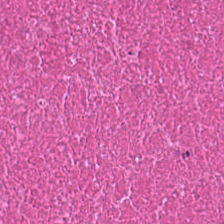H&E; whole-slide-image patch.
Predominantly necrotic debris.
